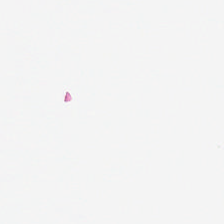Hematoxylin and eosin; 0.5 µm per pixel.
Impression → background.
